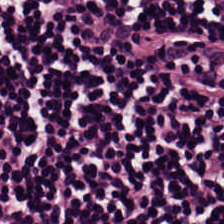H&E.
Q: What is the predominant tissue type?
A: This is lymphoid infiltrate.
